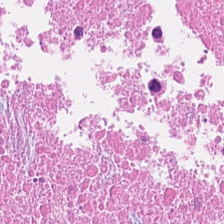Tissue type: cellular debris.
